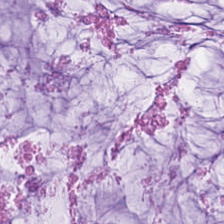Hematoxylin-and-eosin stained section — This patch shows mucus.
